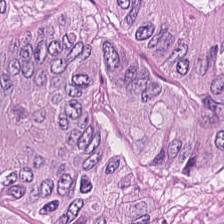Hematoxylin-and-eosin stained section — The predominant tissue is tumor epithelium.
